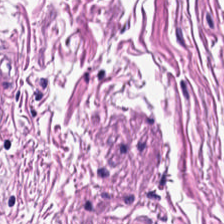Stain: H&E stain.
Classification: smooth muscle.
